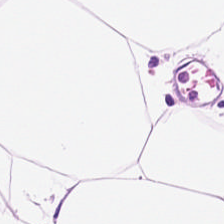Hematoxylin and eosin. {"tissue_type": "adipose tissue"}
